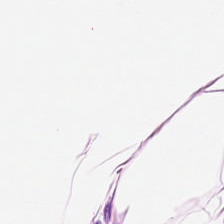Tissue class: fat tissue.
